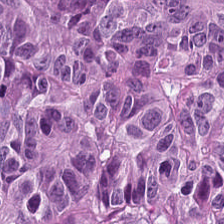Q: Classify this patch.
A: Malignant epithelium.
